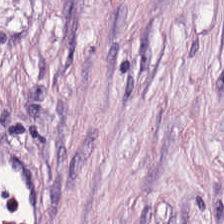Brightfield; hematoxylin-and-eosin stained section — The tissue here is tumor stroma.
